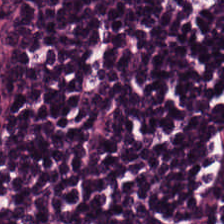H&E — lymphoid infiltrate.
